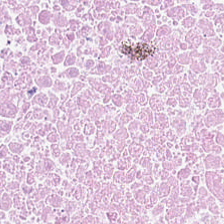Tissue class — cellular debris.
